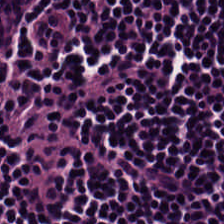H&E. FFPE tissue section — Q: What type of tissue is this?
A: Lymphocytes.
